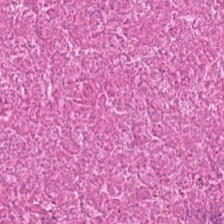Hematoxylin and eosin. Impression → debris.
